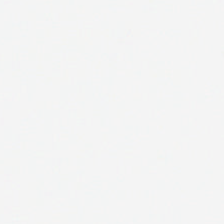Content = background (no tissue).
